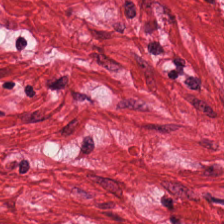H&E-stained tissue section showing smooth muscle.
